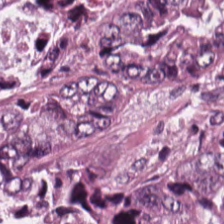Hematoxylin-and-eosin stained section · 0.5 microns per pixel — Finding — malignant epithelium.
